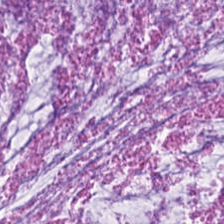FFPE; H&E.
This field is extracellular mucin.
